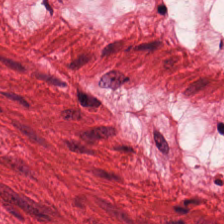Hematoxylin and eosin — Showing smooth-muscle tissue.
